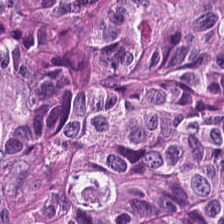H&E.
The predominant tissue is adenocarcinoma.
